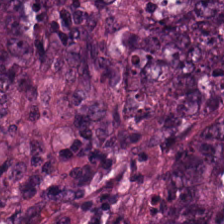Hematoxylin and eosin. Classification = colorectal adenocarcinoma epithelium.
